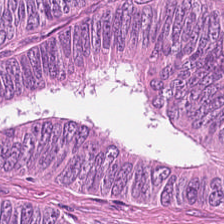Stain: H&E stain.
Classification: colorectal adenocarcinoma epithelium.
